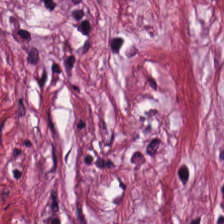Stain: H&E.
Predominant tissue: desmoplastic stroma.
